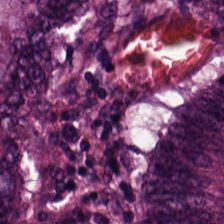Stain: hematoxylin-and-eosin stained section.
Acquisition: whole-slide-image patch.
Resolution: 0.5 µm/px.
Tissue: colorectal adenocarcinoma.
